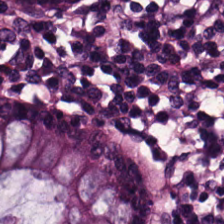Hematoxylin and eosin. Benign colonic mucosa.
